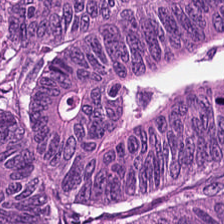Hematoxylin and eosin. FFPE tissue section. The tissue here is colorectal adenocarcinoma.
